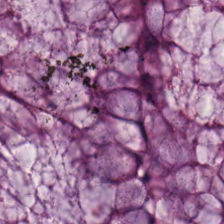Hematoxylin-and-eosin stained section — Finding — normal colon mucosa.
